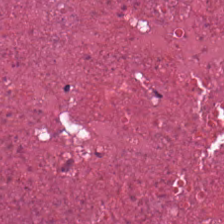H&E stain · 224×224 px tile. Predominantly necrotic debris.
